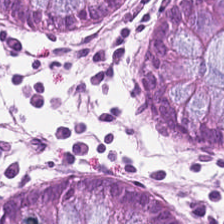Hematoxylin and eosin — The tissue here is benign colonic mucosa.
